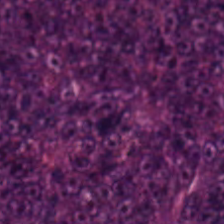H&E stain. 0.5 µm/px. The tissue here is tumor epithelium.
